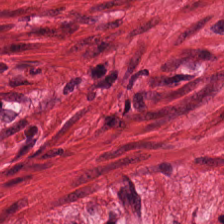H&E stain · 224×224 px patch · brightfield — Impression — smooth muscle.
